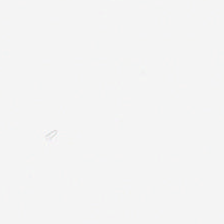Empty field — empty background.
